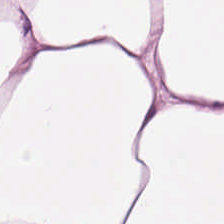Stain: H&E-stained tissue section.
Preparation: formalin-fixed paraffin-embedded section.
Resolution: 0.5 µm/px.
Tissue type: fat tissue.
